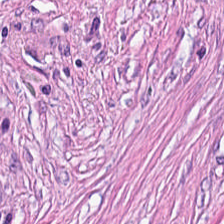Hematoxylin and eosin — Classification = tumor-associated stroma.
